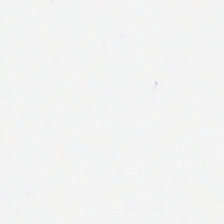Hematoxylin and eosin. No tissue present; background only.
